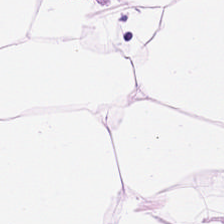20× equivalent magnification; 224×224 px patch; H&E-stained tissue section. Finding → adipose.
